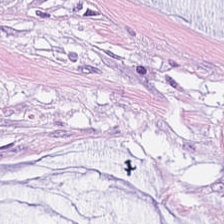H&E-stained tissue section. Impression — mucus.
